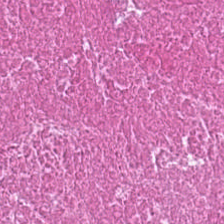Predominantly necrotic debris.
